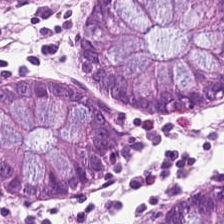H&E.
Tissue class — normal colonic mucosa.
